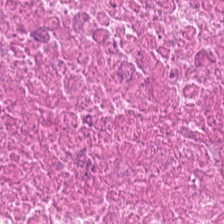224×224 px tile. Hematoxylin and eosin — Debris.
